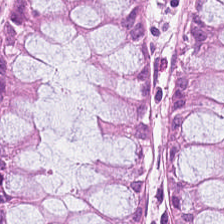H&E-stained tissue section showing non-neoplastic colon mucosa.
